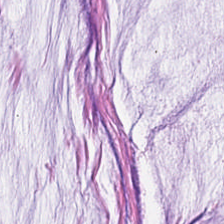H&E. 224×224 px patch — The tissue here is mucin.
